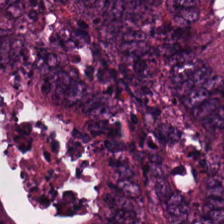H&E stain.
The tissue here is adenocarcinoma.
